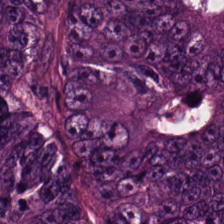Hematoxylin-and-eosin stained section. Colorectal adenocarcinoma epithelium.
